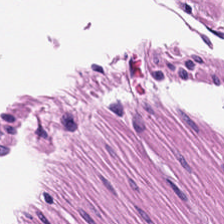H&E-stained tissue section.
Q: Classify this patch.
A: Muscularis.
